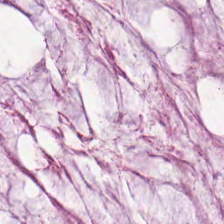0.5 µm per pixel; hematoxylin-and-eosin stained section — The tissue class is extracellular mucin.
